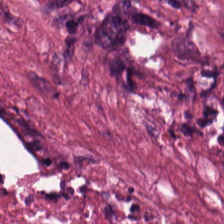Hematoxylin and eosin — The tissue is necrotic debris.
